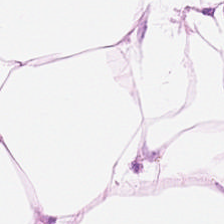H&E stain — This field is fat tissue.
